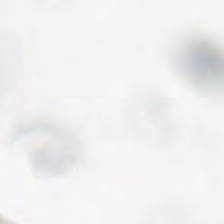This patch shows background (no tissue).
